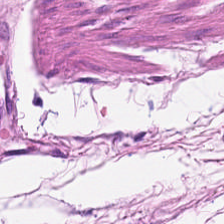Hematoxylin-and-eosin stained section.
Q: What is the predominant tissue type?
A: Muscularis.
